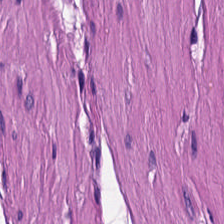H&E.
The predominant tissue is muscularis.
